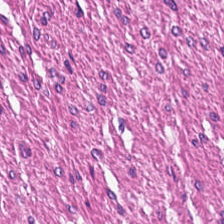Hematoxylin and eosin.
Q: Identify the tissue.
A: It is smooth muscle.
